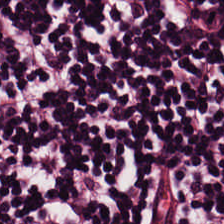Stain: hematoxylin-and-eosin stained section.
Tissue type: lymphoid infiltrate.
